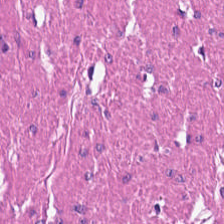Tissue type = muscularis.
